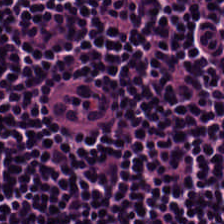H&E-stained tissue section.
Tissue type = lymphoid infiltrate.
